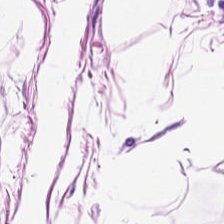Stain: hematoxylin and eosin.
Classification: fat tissue.
